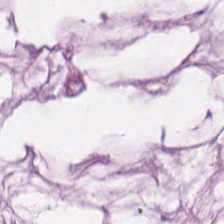Hematoxylin and eosin. Tissue: mucus.
